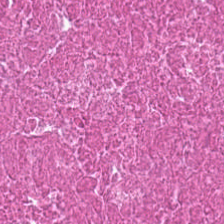Hematoxylin-and-eosin stained section. 20× equivalent magnification — Predominant tissue = necrotic debris.
